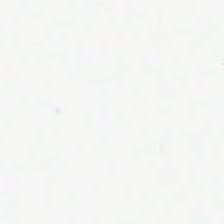Whole-slide-image patch; H&E stain.
This field is background (no tissue).
